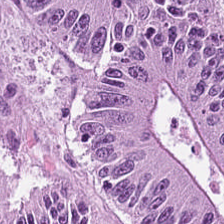H&E-stained tissue section showing tumor epithelium.
